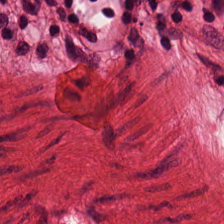H&E-stained tissue section.
Showing muscularis.
